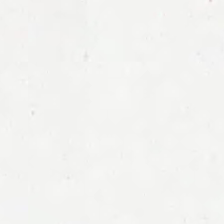H&E-stained tissue section — Empty field — no tissue.
